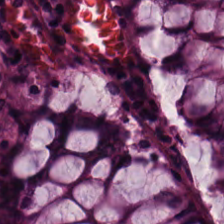Hematoxylin-and-eosin stained section.
Q: What is shown in this field?
A: This is benign colonic mucosa.
